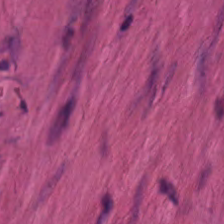Whole-slide-image patch; 0.5 µm/px; hematoxylin and eosin. Tissue type: muscularis.
